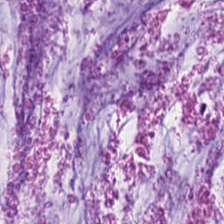Tissue class: mucus.
